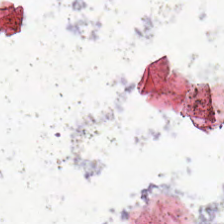Q: Classify this patch.
A: The field shows background (no tissue).
